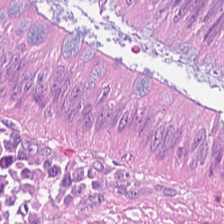0.5 µm/px · H&E-stained tissue section · 224×224 pixel tile.
Tissue class = tumor epithelium.
